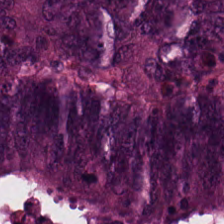H&E-stained tissue section.
The tissue class is colorectal adenocarcinoma.
